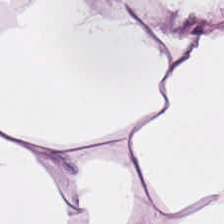H&E. 20× equivalent magnification. FFPE tissue section. Predominant tissue — fat tissue.
